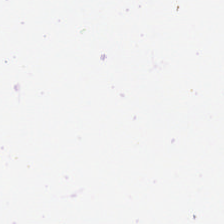Hematoxylin and eosin · 20× equivalent magnification — {"content": "background"}
